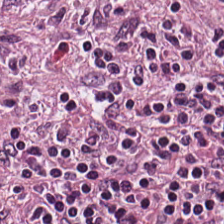Hematoxylin and eosin · FFPE tissue section — Predominantly lymphoid infiltrate.
